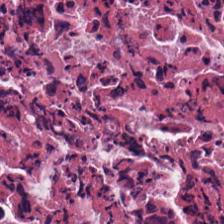Hematoxylin-and-eosin stained section. Impression → necrotic debris.
